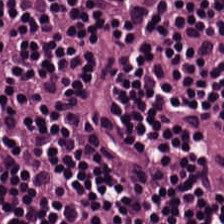Stain: hematoxylin and eosin.
Acquisition: whole-slide-image patch.
Preparation: FFPE.
Classification: lymphoid infiltrate.
